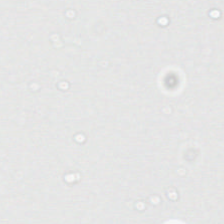Hematoxylin-and-eosin stained section — This field is background (no tissue).
